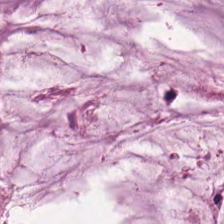H&E stain. {"tissue_type": "extracellular mucin"}
